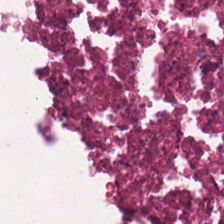Hematoxylin-and-eosin stained section. 224×224 px tile — Finding — necrotic debris.
